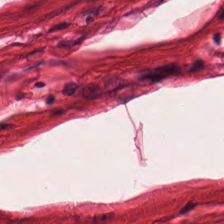Q: What tissue is shown?
A: It is muscularis.
